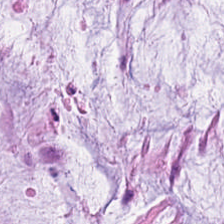Hematoxylin-and-eosin stained section.
Tissue = mucus.
